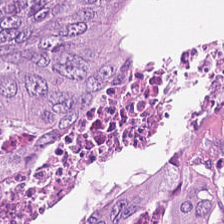Brightfield microscopy; hematoxylin-and-eosin stained section — Predominantly colorectal adenocarcinoma epithelium.
